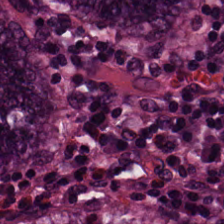H&E — normal colon mucosa.
